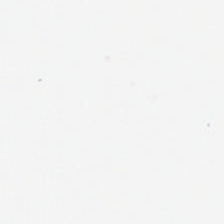Hematoxylin-and-eosin stained section. 224×224 px tile. Empty background.
